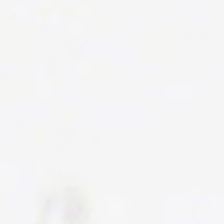224×224 px patch. H&E. Field content = no tissue.
